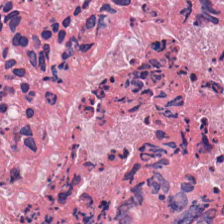224×224 px patch; H&E — Q: Identify the tissue.
A: This is cellular debris.
